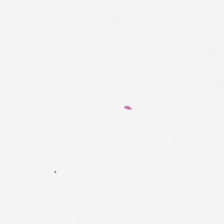H&E. Field content: background.
